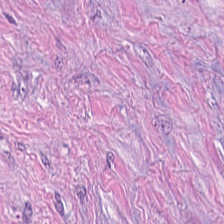H&E.
Predominantly tumor-associated stroma.
